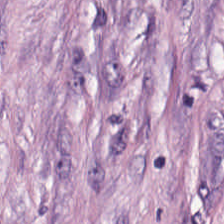Finding — cancer-associated stroma.
